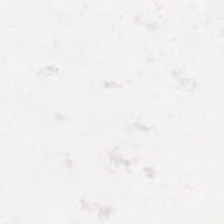Stain: H&E.
Preparation: formalin-fixed paraffin-embedded section.
Classification: empty background.
